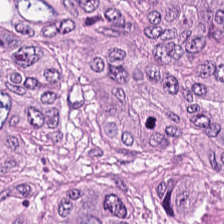Hematoxylin-and-eosin stained section · formalin-fixed paraffin-embedded section. Q: Classify this patch.
A: This is colorectal adenocarcinoma epithelium.
